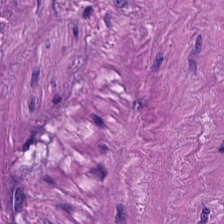Brightfield. H&E-stained tissue section. 0.5 µm/px — This patch shows smooth-muscle tissue.
